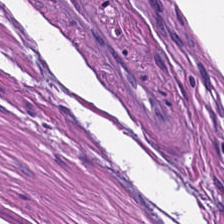H&E-stained tissue section. Impression — smooth-muscle tissue.
